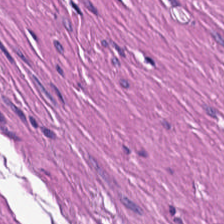Q: What tissue type is shown here?
A: It is smooth-muscle tissue.
